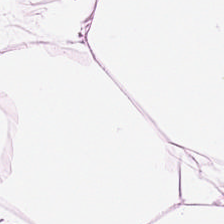H&E. Impression → adipocytes.
